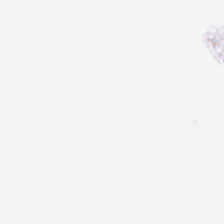Hematoxylin-and-eosin stained section — Q: Classify this patch.
A: It is background.
